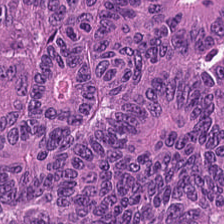H&E-stained tissue section.
Finding — adenocarcinoma.
